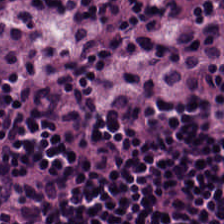Hematoxylin and eosin; brightfield — Predominant tissue — lymphocytic infiltrate.
